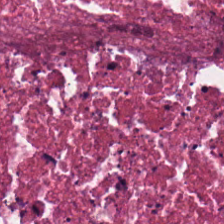Stain: hematoxylin and eosin.
Preparation: FFPE.
Acquisition: brightfield microscopy.
Predominant tissue: necrotic debris.
